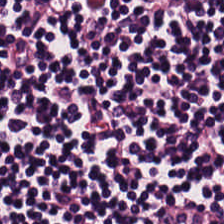Tissue class = lymphoid infiltrate.
